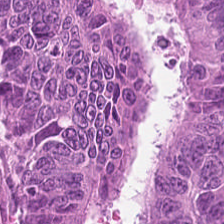H&E stain — The tissue here is malignant epithelium.
